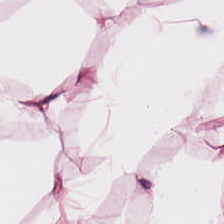Q: What is the predominant tissue type?
A: The field shows adipose.
